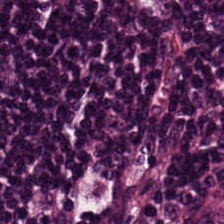H&E-stained tissue section. 0.5 µm/px.
Impression → lymphocytic infiltrate.
